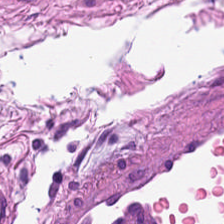Classification = muscularis.
